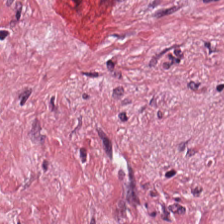H&E-stained tissue section — The tissue here is cancer-associated stroma.
